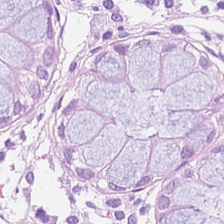Hematoxylin and eosin.
The tissue is normal colon mucosa.
